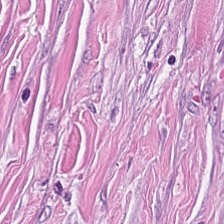Hematoxylin-and-eosin stained section.
{"tissue_type": "tumor stroma"}
